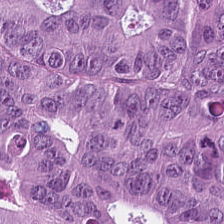Hematoxylin-and-eosin stained section; 0.5 µm/px. Tissue — malignant epithelium.
